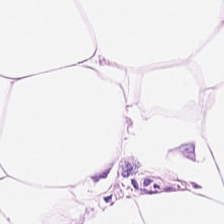Hematoxylin and eosin.
Showing adipose.
